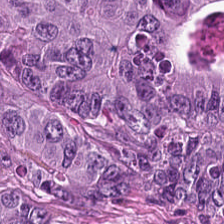Stain: H&E.
Classification: tumor epithelium.
